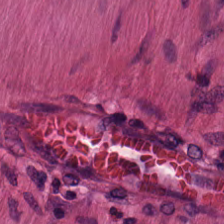H&E — The predominant tissue is muscularis.
